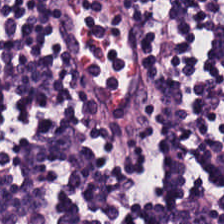Predominantly lymphocyte aggregate.
